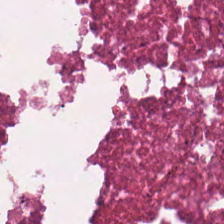Formalin-fixed paraffin-embedded section. H&E stain — Showing debris.
